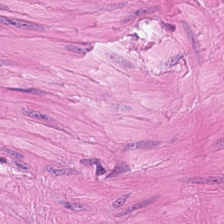Hematoxylin and eosin; brightfield. Predominantly smooth-muscle tissue.
